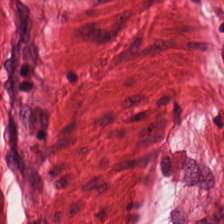Hematoxylin-and-eosin stained section — Smooth-muscle tissue.
